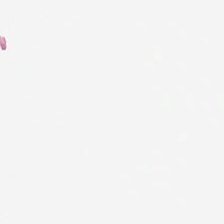{"content": "no tissue"}
